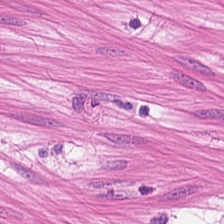Hematoxylin and eosin · whole-slide-image patch.
Histology — smooth muscle.
